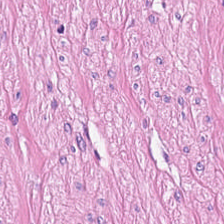Hematoxylin and eosin — Q: What is shown here?
A: The field shows smooth muscle.
